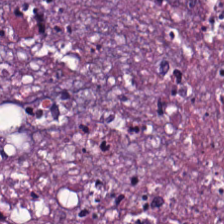224×224 px patch. Brightfield. H&E stain — Tissue type — cellular debris.
